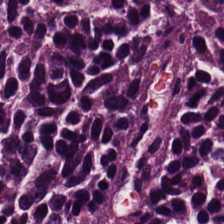Stain: H&E-stained tissue section.
Acquisition: WSI patch.
Predominant tissue: lymphoid infiltrate.
